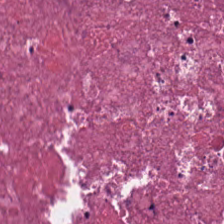WSI patch. Hematoxylin-and-eosin stained section — The predominant tissue is debris.
